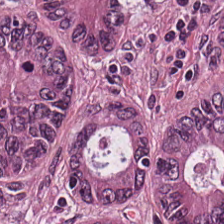Hematoxylin-and-eosin stained section. Impression — colorectal adenocarcinoma epithelium.
